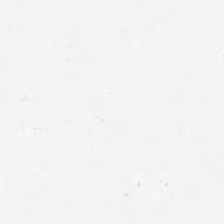FFPE. Hematoxylin-and-eosin stained section.
The content is background.
